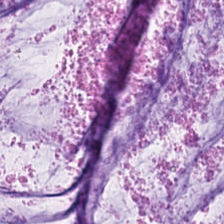H&E-stained tissue section. Predominantly mucus.
